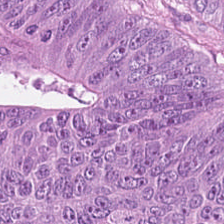Hematoxylin and eosin. {"tissue_type": "malignant epithelium"}
